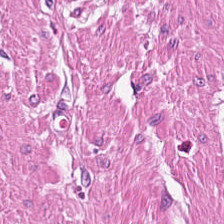H&E · 0.5 µm/px. Q: What is shown in this field?
A: The field shows smooth-muscle tissue.
